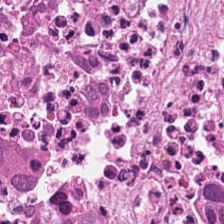H&E · 224×224 px tile.
The tissue class is necrotic debris.
